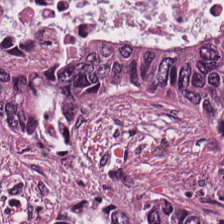H&E stain. {"tissue_type": "adenocarcinoma"}
